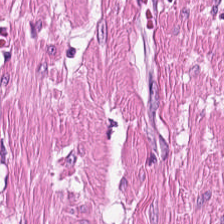H&E; FFPE tissue section.
Classification = smooth-muscle tissue.
